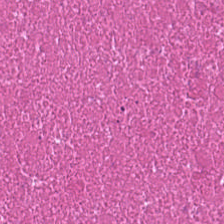Stain: hematoxylin and eosin.
Tile size: 224×224 px patch.
Predominant tissue: necrotic debris.
